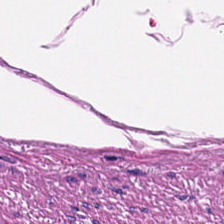H&E-stained tissue section. 20× equivalent magnification.
{"tissue_type": "smooth muscle"}
